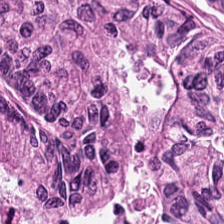Q: What is shown in this field?
A: The field shows colorectal adenocarcinoma epithelium.
